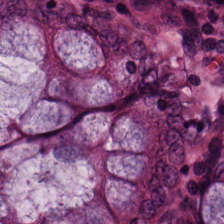0.5 microns per pixel; 224×224 pixel tile; H&E. Q: What tissue type is shown here?
A: The field shows normal colon mucosa.
